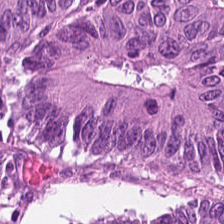H&E-stained tissue section — The tissue here is colorectal adenocarcinoma.
